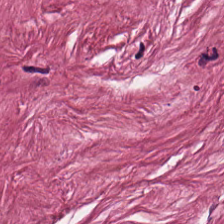20× equivalent magnification · brightfield · hematoxylin and eosin — Showing cancer-associated stroma.
